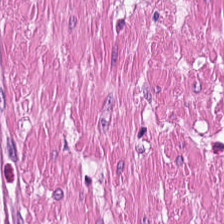H&E-stained tissue section. Predominant tissue = smooth-muscle tissue.
